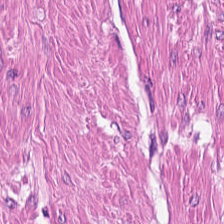The tissue is smooth muscle.
